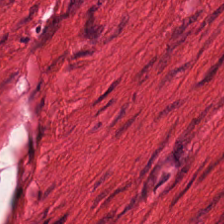FFPE · H&E-stained tissue section · whole-slide-image patch. Predominantly smooth-muscle tissue.
